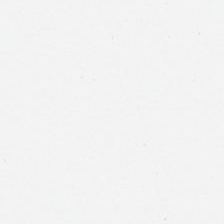Classification — background (no tissue).
